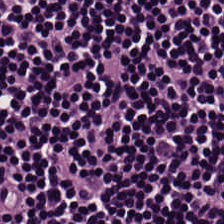Tissue = lymphocyte aggregate.
